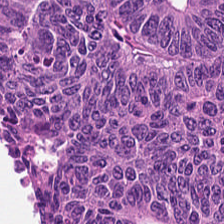224×224 px patch; H&E.
{"tissue_type": "malignant epithelium"}
